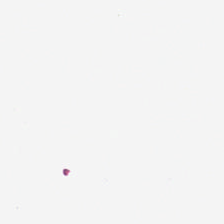224×224 px tile · H&E-stained tissue section — Empty field — empty background.
